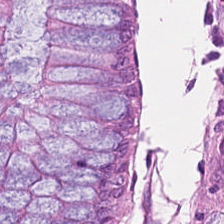Brightfield microscopy; 20× equivalent magnification; H&E stain. Q: What is the predominant tissue type?
A: The field shows normal colonic mucosa.
